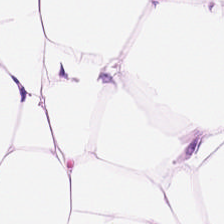H&E; brightfield microscopy — Classification: adipose tissue.
